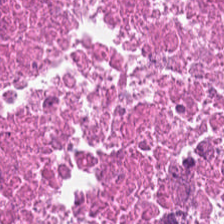Stain: H&E-stained tissue section.
Tissue class: necrotic debris.
